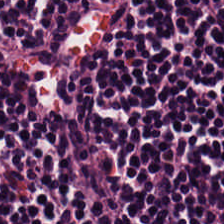224×224 pixel tile · H&E — This field is lymphocytes.
